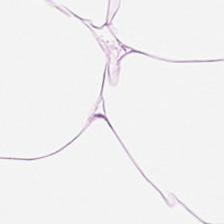Hematoxylin-and-eosin stained section. Q: What is shown in this field?
A: This is fat tissue.
